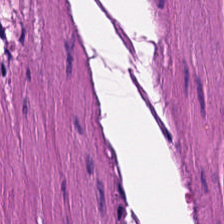Hematoxylin and eosin. Q: What type of tissue is this?
A: It is smooth muscle.
